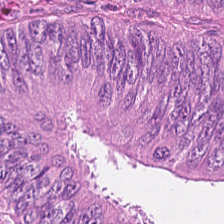Q: What is the predominant tissue type?
A: This is colorectal adenocarcinoma.
